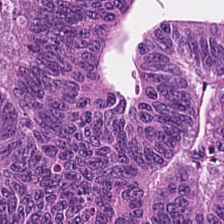H&E stain.
Impression — malignant epithelium.
